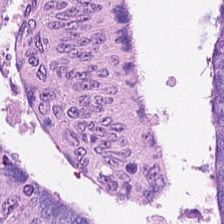H&E-stained tissue section. 0.5 µm per pixel. 224×224 px patch. Tissue class — colorectal adenocarcinoma epithelium.
